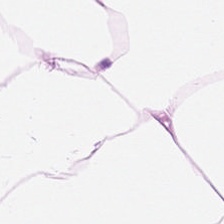Hematoxylin and eosin. Brightfield — {"tissue_type": "adipose tissue"}
